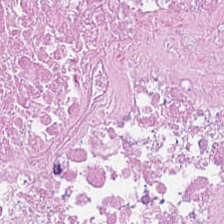224×224 px tile; H&E; brightfield microscopy.
The predominant tissue is debris.
